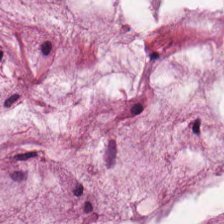H&E-stained tissue section — Extracellular mucin.
